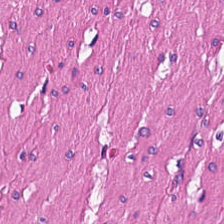H&E — Q: What is shown here?
A: This is muscularis.
